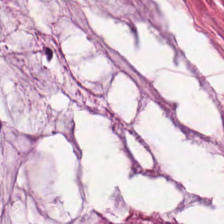H&E stain — The tissue is mucus.
